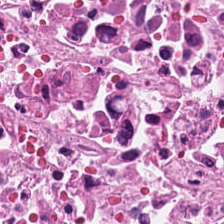0.5 microns per pixel. FFPE. H&E-stained tissue section.
Q: Identify the tissue.
A: It is cellular debris.
